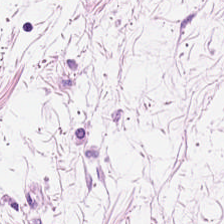H&E — Adipose tissue.
